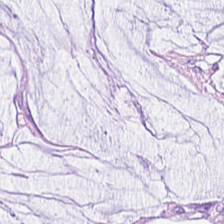The predominant tissue is mucin.
